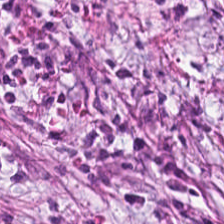Brightfield. 224×224 px tile. H&E stain — Q: What tissue type is shown here?
A: The field shows cancer-associated stroma.
